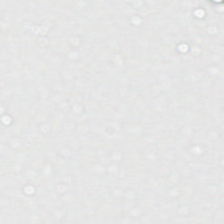H&E-stained tissue section.
Content = empty background.
